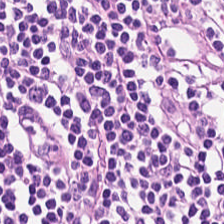Impression → lymphocytic infiltrate.
